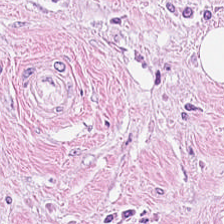Classification: tumor stroma.
